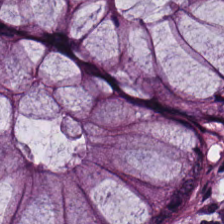FFPE tissue section. Hematoxylin and eosin. 20× equivalent magnification.
Finding — normal colonic mucosa.
